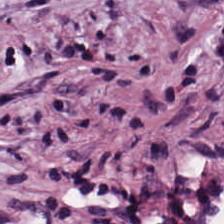H&E.
This field is desmoplastic stroma.
